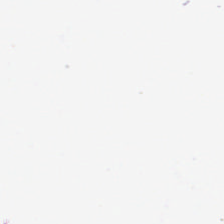Hematoxylin-and-eosin stained section.
Classification: empty background.
